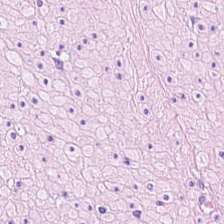FFPE tissue section. H&E. Whole-slide-image patch.
Tissue class = smooth muscle.
